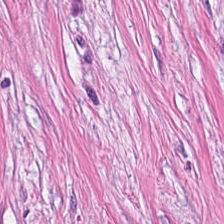Brightfield microscopy. Hematoxylin and eosin — {"tissue_type": "tumor stroma"}
